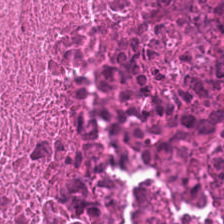Hematoxylin-and-eosin stained section. This field is cellular debris.
